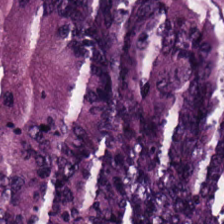H&E.
Showing colorectal adenocarcinoma.
